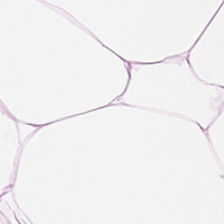Hematoxylin and eosin. Tissue type: fat tissue.
